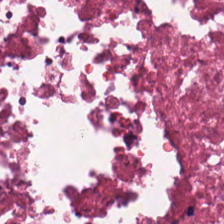H&E.
The tissue here is debris.
